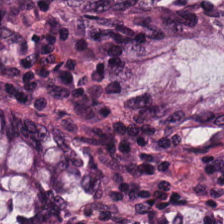Predominant tissue = benign colonic mucosa.
